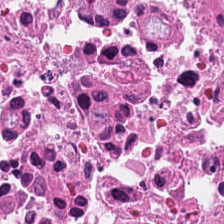Hematoxylin and eosin · 0.5 microns per pixel. Q: Classify this patch.
A: This is cellular debris.
